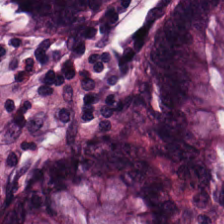The predominant tissue is normal colonic mucosa.
